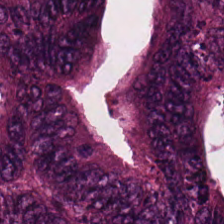H&E stain; 0.5 µm/px — Impression — tumor epithelium.
